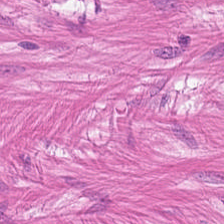0.5 µm per pixel; hematoxylin-and-eosin stained section — This field is smooth-muscle tissue.
